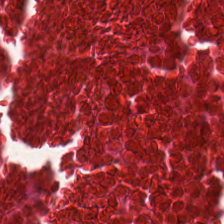0.5 microns per pixel. Hematoxylin and eosin.
{"tissue_type": "debris"}
